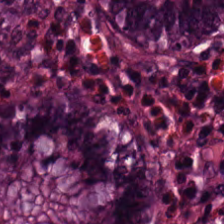H&E stain. 224×224 px patch.
The tissue here is normal colonic mucosa.
